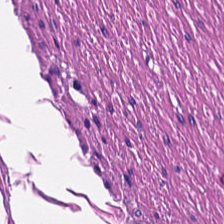H&E stain. 224×224 px tile — Tissue type = muscularis.
